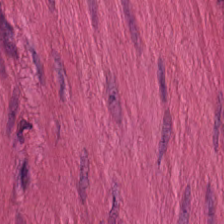Hematoxylin and eosin. Q: What type of tissue is this?
A: Muscularis.
